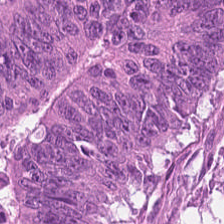Hematoxylin and eosin.
This field is tumor epithelium.
